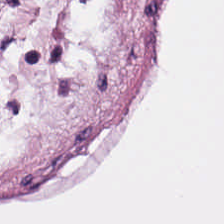Stain: H&E-stained tissue section.
Tile size: 224×224 pixel tile.
Classification: fat tissue.
